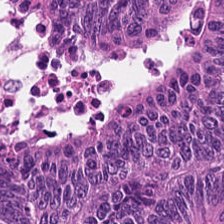224×224 px tile. Hematoxylin and eosin. WSI patch — Tissue type: malignant epithelium.
